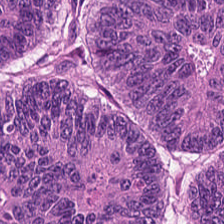224×224 pixel tile; H&E-stained tissue section — Predominant tissue = colorectal adenocarcinoma epithelium.
